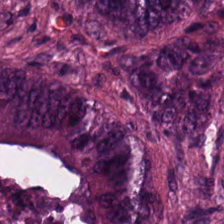FFPE tissue section · 224×224 pixel tile · hematoxylin-and-eosin stained section — Q: What is the predominant tissue type?
A: Malignant epithelium.
